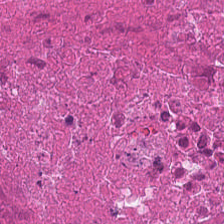224×224 px tile. 0.5 µm per pixel. Hematoxylin-and-eosin stained section. Tissue type = cellular debris.
